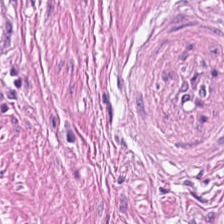0.5 µm per pixel · H&E.
Predominant tissue — smooth muscle.
